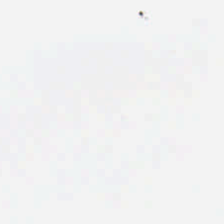Stain: H&E-stained tissue section.
Acquisition: brightfield microscopy.
Resolution: 0.5 µm/px.
Field content: background (no tissue).
